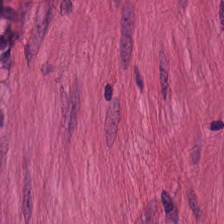Finding → smooth-muscle tissue.
